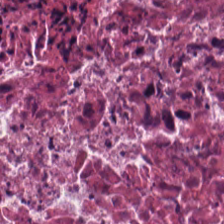Stain: H&E stain.
Resolution: 20× equivalent magnification.
Tissue type: necrotic debris.
